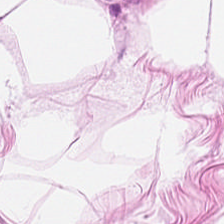H&E-stained tissue section.
Showing adipose tissue.
